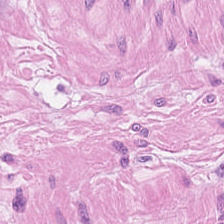H&E.
Q: What tissue type is shown here?
A: This is muscularis.
